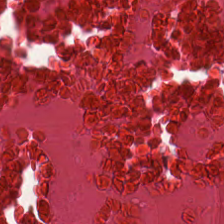H&E. The tissue is necrotic debris.
